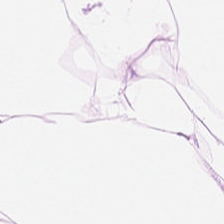Hematoxylin-and-eosin stained section; 0.5 microns per pixel — This patch shows fat tissue.
